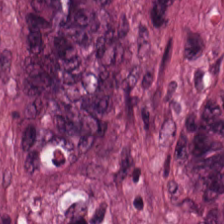224×224 px patch. H&E stain — Impression → adenocarcinoma.
